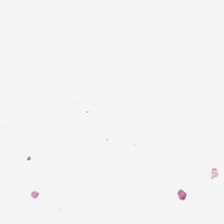224×224 pixel tile; hematoxylin and eosin. Content — no tissue.
